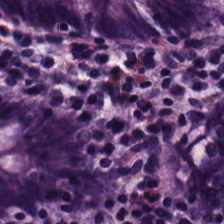Hematoxylin-and-eosin stained section — Q: What is shown here?
A: Normal colonic mucosa.
